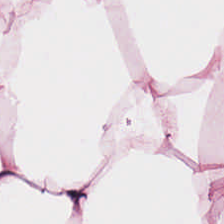H&E-stained tissue section. Whole-slide-image patch — Adipose tissue.
